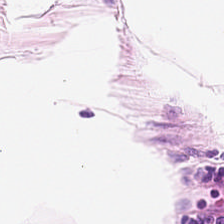H&E stain. Predominantly fat tissue.
